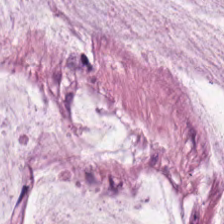Hematoxylin-and-eosin stained section · whole-slide-image patch.
Q: What is shown in this field?
A: The field shows mucus.
